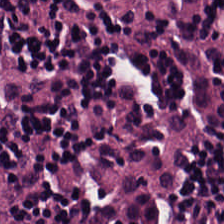Hematoxylin and eosin · 0.5 µm/px · brightfield microscopy. The tissue here is lymphoid infiltrate.
